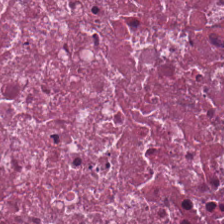0.5 µm/px; H&E — Q: What does this patch show?
A: The field shows cellular debris.
